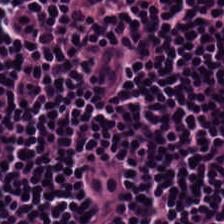Stain: H&E stain.
Tissue class: lymphocytic infiltrate.
